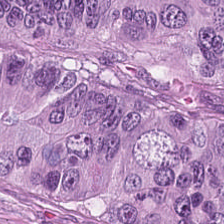FFPE; H&E stain; 0.5 microns per pixel — Q: What tissue type is shown here?
A: It is colorectal adenocarcinoma.
